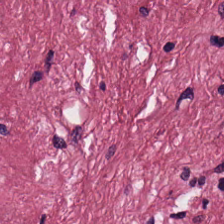0.5 µm per pixel · hematoxylin-and-eosin stained section. Q: What type of tissue is this?
A: The field shows desmoplastic stroma.
